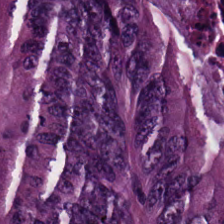H&E — The tissue here is malignant epithelium.
